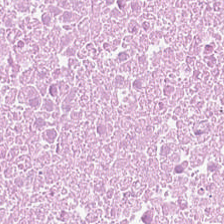H&E stain. Q: What type of tissue is this?
A: Necrotic debris.
